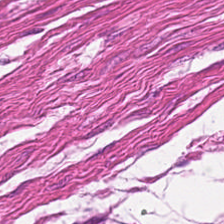H&E-stained tissue section. FFPE tissue section. Brightfield. Smooth-muscle tissue.
